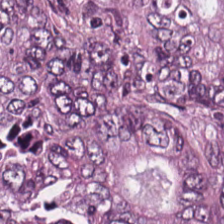224×224 px tile. H&E-stained tissue section. This patch shows tumor epithelium.
